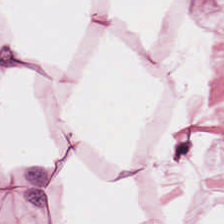H&E-stained tissue section — Predominantly adipose.
